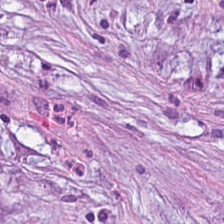Hematoxylin-and-eosin section: tumor stroma.
